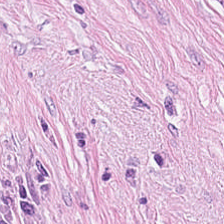Hematoxylin and eosin.
Predominant tissue = tumor stroma.
